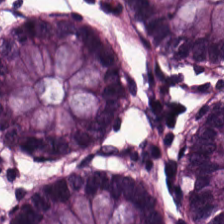H&E — The tissue is normal colon mucosa.
